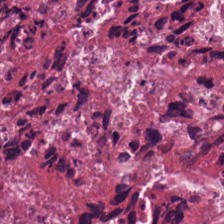Hematoxylin and eosin · WSI patch — Tissue: necrotic debris.
